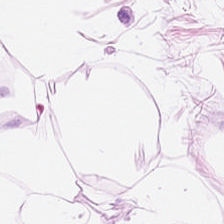H&E. Classification — adipose.
